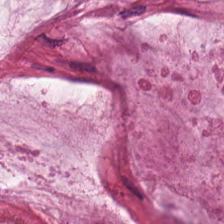H&E · whole-slide-image patch · 0.5 µm per pixel. Q: What does this patch show?
A: This is extracellular mucin.
